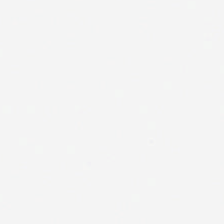0.5 µm/px · 224×224 pixel tile · hematoxylin and eosin.
Q: What is shown here?
A: It is background.
